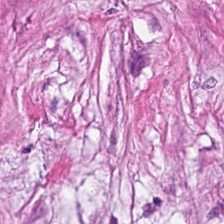Q: What does this patch show?
A: It is cancer-associated stroma.
